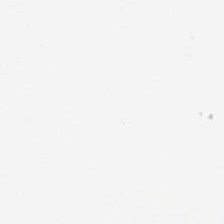Stain: hematoxylin-and-eosin stained section.
Field content: empty background.
